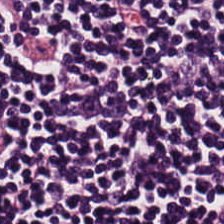H&E-stained tissue section — Predominantly lymphoid infiltrate.
